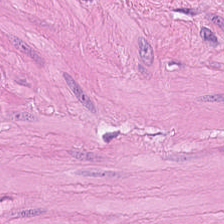Hematoxylin-and-eosin stained section. Q: Classify this patch.
A: Smooth muscle.
